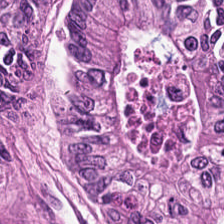Hematoxylin-and-eosin stained section. Showing colorectal adenocarcinoma epithelium.
